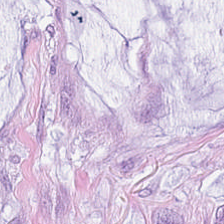H&E.
The tissue class is extracellular mucin.
